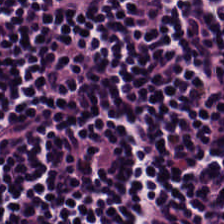FFPE tissue section. H&E-stained tissue section — Tissue: lymphocytic infiltrate.
